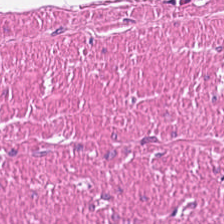H&E stain · 224×224 pixel tile — Showing smooth-muscle tissue.
